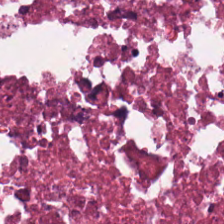Hematoxylin-and-eosin stained section; whole-slide-image patch.
Q: What is the predominant tissue type?
A: It is cellular debris.
